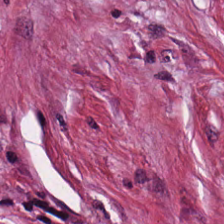H&E. Showing cancer-associated stroma.
